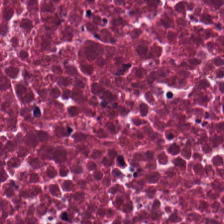Stain: H&E.
Tissue class: debris.
